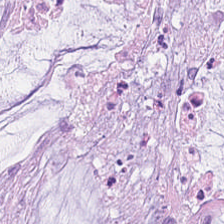H&E-stained tissue section; 224×224 pixel tile.
{"tissue_type": "mucin"}
